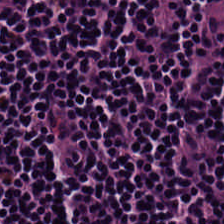Hematoxylin-and-eosin stained section — Q: What is shown in this field?
A: Lymphocyte aggregate.
